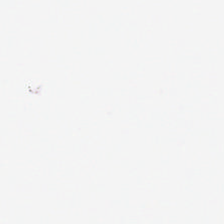Stain: hematoxylin-and-eosin stained section.
Classification: background.
